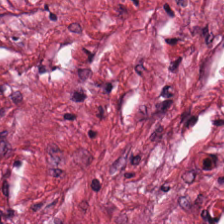H&E.
Impression — tumor stroma.
